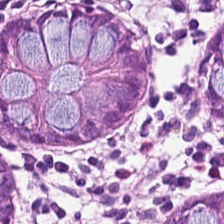Classification = normal colon mucosa.
